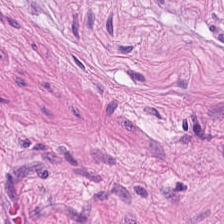H&E stain. {"tissue_type": "smooth muscle"}
